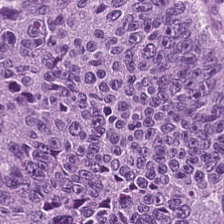0.5 µm/px · brightfield microscopy · H&E.
Q: What type of tissue is this?
A: The field shows adenocarcinoma.
